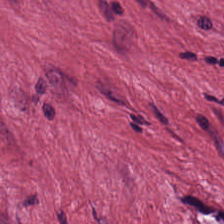Cancer-associated stroma.
